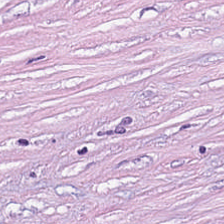H&E-stained tissue section — Q: What tissue is shown?
A: This is desmoplastic stroma.
